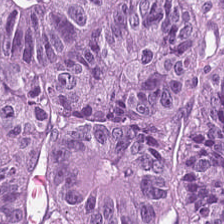H&E-stained tissue section. 0.5 µm/px.
The predominant tissue is malignant epithelium.
